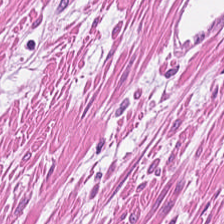Formalin-fixed paraffin-embedded section. Hematoxylin-and-eosin stained section — Finding — smooth muscle.
